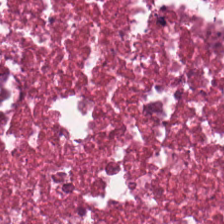WSI patch; hematoxylin-and-eosin stained section; 224×224 pixel tile.
Histology → necrotic debris.
